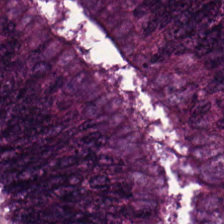H&E. {"tissue_type": "adenocarcinoma"}
